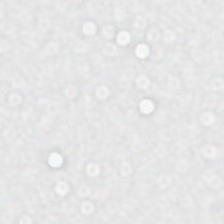Formalin-fixed paraffin-embedded section; hematoxylin and eosin.
Q: What is shown in this field?
A: The field shows empty background.
